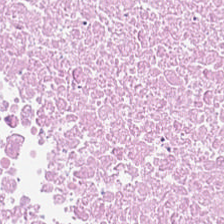H&E — Tissue type = cellular debris.
